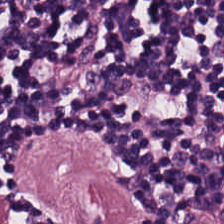Q: What does this patch show?
A: It is lymphocyte aggregate.
